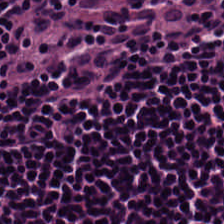Predominant tissue — lymphocytes.
